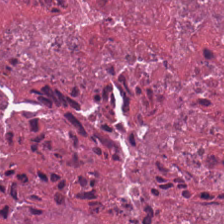WSI patch. Hematoxylin-and-eosin stained section. FFPE. The tissue here is necrotic debris.
